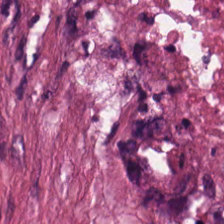Hematoxylin-and-eosin section: necrotic debris.
